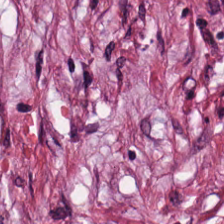Hematoxylin-and-eosin stained section.
The tissue here is tumor stroma.
